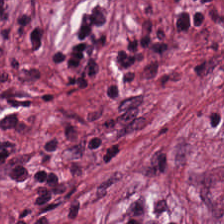FFPE tissue section · WSI patch · H&E. This field is tumor stroma.
